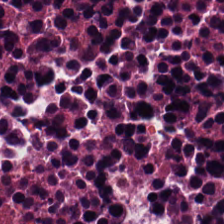H&E.
Tissue class — debris.
